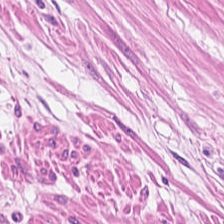Hematoxylin-and-eosin stained section. {"tissue_type": "smooth-muscle tissue"}
